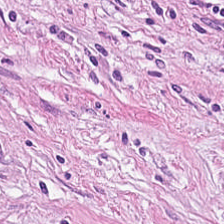H&E-stained tissue section — Q: What does this patch show?
A: Tumor-associated stroma.
